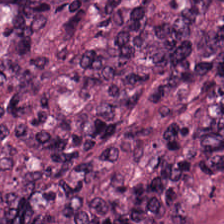Brightfield. FFPE. H&E.
Q: What tissue is shown?
A: This is colorectal adenocarcinoma epithelium.
